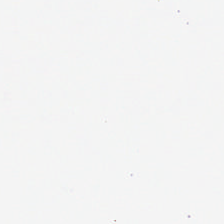Hematoxylin-and-eosin stained section. Classification = no tissue.
